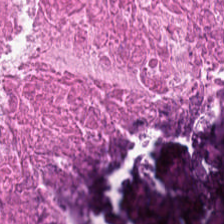This patch shows necrotic debris.
